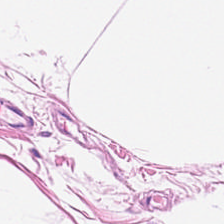0.5 µm per pixel · hematoxylin and eosin. Q: What is shown here?
A: Adipose tissue.
